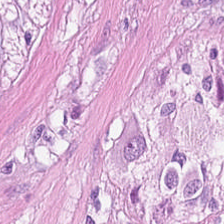Tissue class = muscularis.
